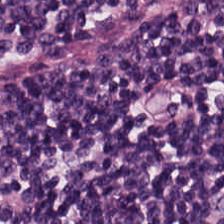H&E stain — Predominantly lymphocyte aggregate.
